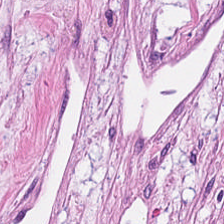H&E — Tissue class — tumor-associated stroma.
